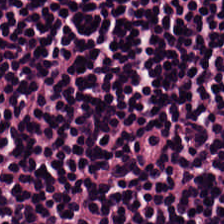Q: What does this patch show?
A: The field shows lymphocytes.
